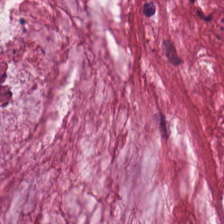H&E-stained tissue section; FFPE tissue section — Q: What tissue is shown?
A: This is mucus.
